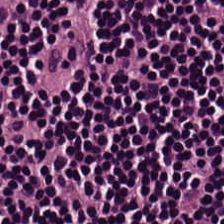Hematoxylin and eosin. The tissue here is lymphocytes.
